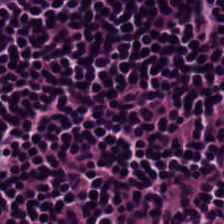H&E-stained tissue section. Brightfield. FFPE tissue section.
Tissue: lymphocyte aggregate.
